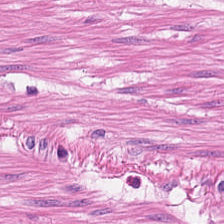H&E · 20× equivalent magnification.
Showing smooth-muscle tissue.
